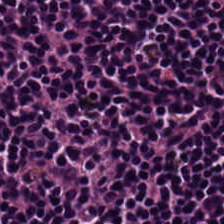Hematoxylin and eosin. The tissue class is lymphocytic infiltrate.
